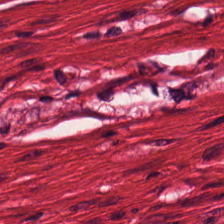Stain: hematoxylin and eosin.
Tissue type: smooth-muscle tissue.
